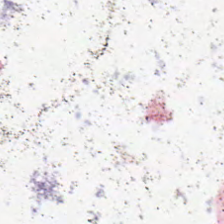H&E-stained tissue section — Q: What is shown here?
A: It is no tissue.
